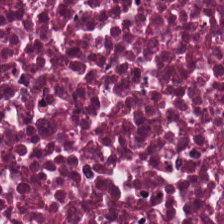H&E. Formalin-fixed paraffin-embedded section — Classification = cellular debris.
